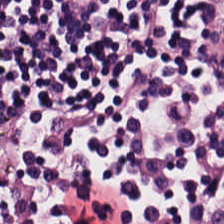H&E.
Showing lymphocytic infiltrate.
